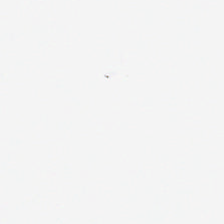H&E-stained tissue section — Background — no tissue in this field.
